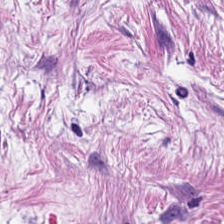H&E-stained tissue section showing cancer-associated stroma.
